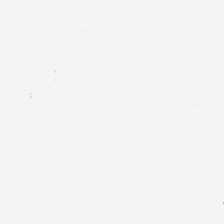Hematoxylin-and-eosin stained section. Field content = empty background.
